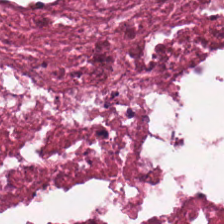H&E-stained tissue section. 0.5 microns per pixel. Tissue — cellular debris.
